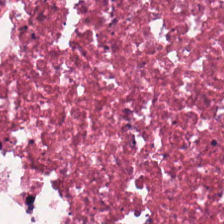Predominant tissue: necrotic debris.
